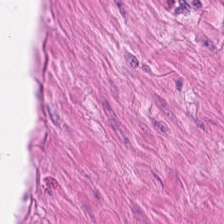20× equivalent magnification · H&E-stained tissue section.
Histology → smooth-muscle tissue.
